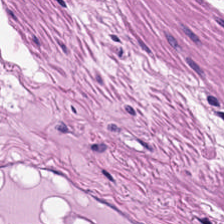Brightfield microscopy. H&E-stained tissue section. Muscularis.
